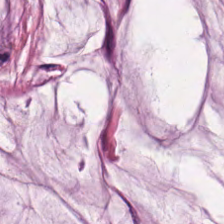Stain: H&E-stained tissue section.
Tile size: 224×224 px patch.
Acquisition: brightfield microscopy.
Tissue type: mucin.
